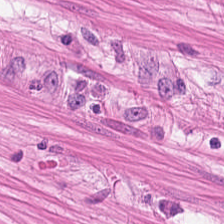H&E-stained tissue section. Q: Classify this patch.
A: Smooth muscle.
